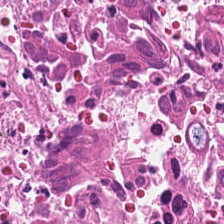WSI patch · hematoxylin and eosin.
Predominant tissue — necrotic debris.
